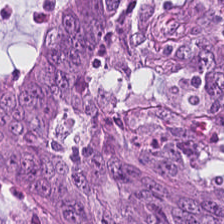Hematoxylin and eosin; 0.5 microns per pixel; 224×224 px tile — Q: Identify the tissue.
A: It is malignant epithelium.
